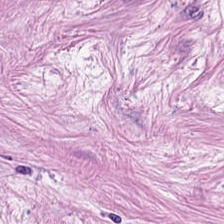FFPE · hematoxylin and eosin · brightfield. The classification is cancer-associated stroma.
